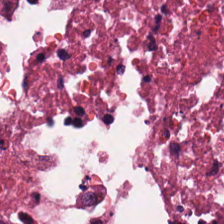Tissue type: debris.
